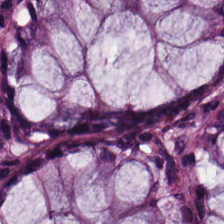Stain: hematoxylin-and-eosin stained section.
Tissue type: non-neoplastic colon mucosa.
